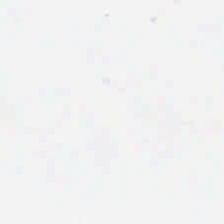This field is background (no tissue).
